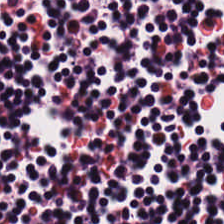H&E stain · 0.5 µm per pixel · 224×224 px tile — Histology — lymphoid infiltrate.
